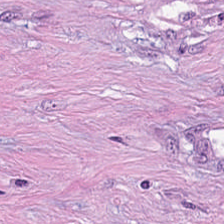Stain: H&E.
Preparation: FFPE.
Classification: tumor stroma.
